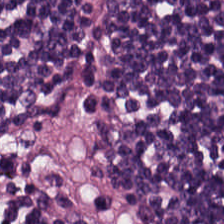FFPE tissue section; H&E stain. Lymphoid infiltrate.
